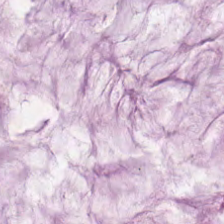Stain: hematoxylin-and-eosin stained section.
Preparation: FFPE tissue section.
Resolution: 0.5 µm per pixel.
Tissue type: mucus.
